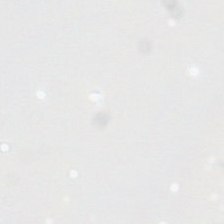H&E-stained tissue section · formalin-fixed paraffin-embedded section. Histology — empty background.
